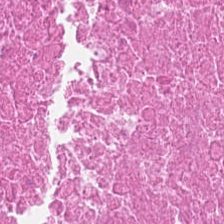FFPE tissue section · H&E stain — {"tissue_type": "necrotic debris"}
